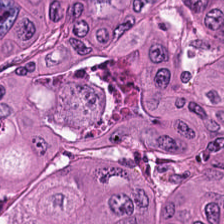Hematoxylin-and-eosin section: colorectal adenocarcinoma epithelium.
